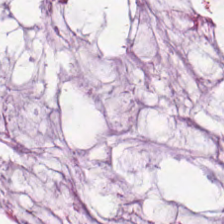Hematoxylin and eosin — The tissue here is mucus.
